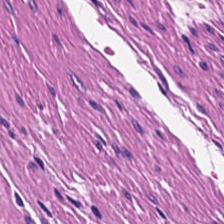FFPE tissue section · H&E stain — The predominant tissue is smooth-muscle tissue.
